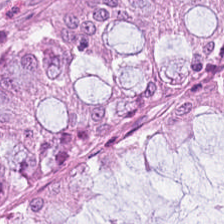H&E-stained tissue section.
Benign colonic mucosa.
